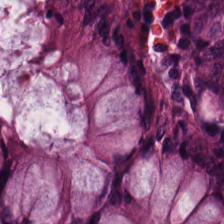Hematoxylin and eosin.
Tissue = normal colonic mucosa.
